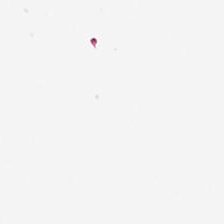This field is background (no tissue).
